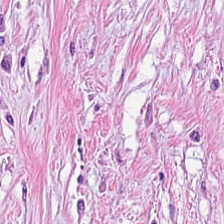Finding → cancer-associated stroma.
